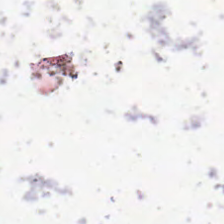H&E · 224×224 px tile — Background — no tissue in this field.
